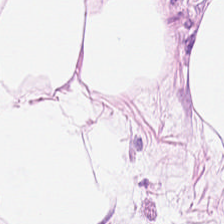H&E-stained tissue section. The predominant tissue is adipose.
